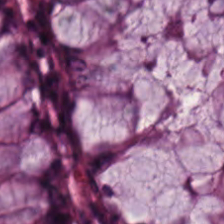Hematoxylin-and-eosin stained section. FFPE tissue section. 224×224 px tile. {"tissue_type": "non-neoplastic colon mucosa"}
